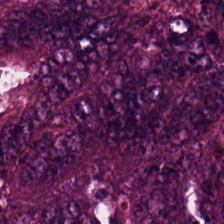Q: Classify this patch.
A: The field shows colorectal adenocarcinoma.
